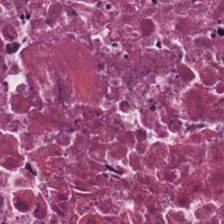Hematoxylin-and-eosin stained section. This field is debris.
